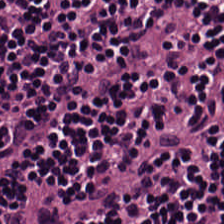This field is lymphocyte aggregate.
